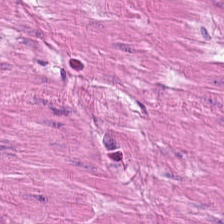Tissue class = smooth muscle.
